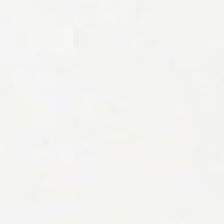Stain: hematoxylin-and-eosin stained section.
Resolution: 0.5 µm per pixel.
Tile size: 224×224 pixel tile.
Classification: background (no tissue).
